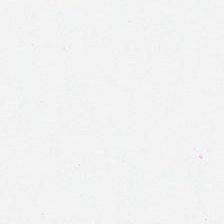H&E-stained tissue section. Q: What is shown in this field?
A: It is no tissue.
